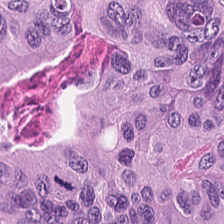224×224 px patch; hematoxylin-and-eosin stained section. This field is adenocarcinoma.
